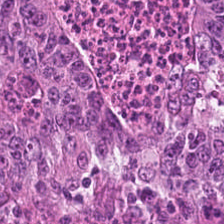H&E-stained tissue section.
This field is colorectal adenocarcinoma.
